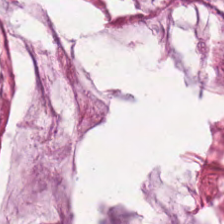H&E. Tissue = extracellular mucin.
